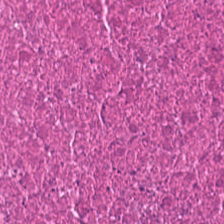Brightfield microscopy; H&E; 0.5 microns per pixel. Finding — cellular debris.
